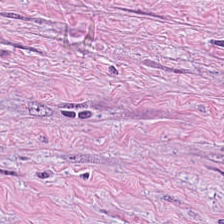{"tissue_type": "tumor stroma"}
